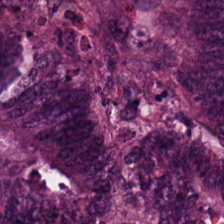H&E-stained tissue section; formalin-fixed paraffin-embedded section; 0.5 µm per pixel — Q: What is the predominant tissue type?
A: The field shows malignant epithelium.
